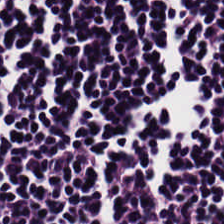H&E stain — Finding — lymphocyte aggregate.
